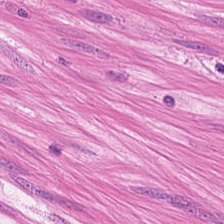Hematoxylin and eosin.
Histology → smooth-muscle tissue.
